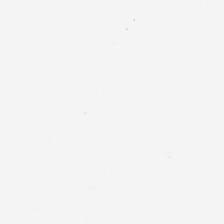Hematoxylin and eosin.
This patch shows background.
